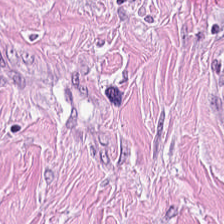H&E-stained tissue section. Q: What is the predominant tissue type?
A: This is cancer-associated stroma.
